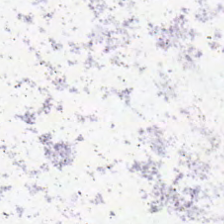Hematoxylin-and-eosin stained section; 0.5 µm per pixel.
Classification = background.
